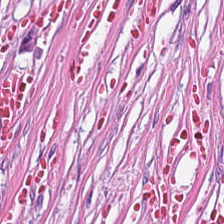H&E · 0.5 microns per pixel.
This field is desmoplastic stroma.
